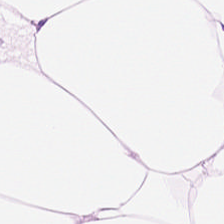H&E-stained tissue section · 224×224 px tile · brightfield microscopy.
This field is adipocytes.
